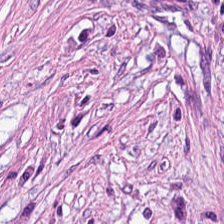The tissue is tumor-associated stroma.
